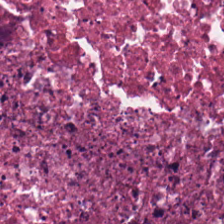Stain: H&E stain.
Tissue type: cellular debris.
